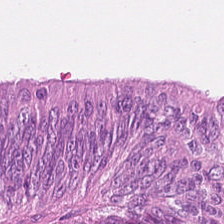H&E. Classification — tumor epithelium.
